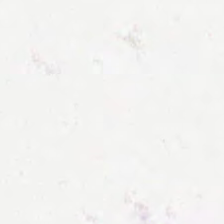Hematoxylin-and-eosin stained section · brightfield — Classification: background.
